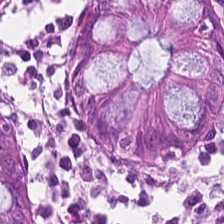Predominant tissue: normal colonic mucosa.
